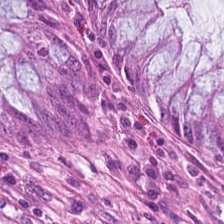H&E-stained tissue section · brightfield microscopy.
Predominant tissue: normal colon mucosa.
